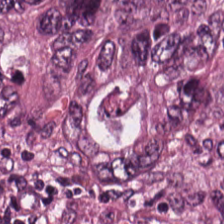Hematoxylin-and-eosin stained section. FFPE.
Q: What tissue type is shown here?
A: It is colorectal adenocarcinoma epithelium.
